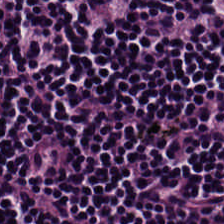Hematoxylin-and-eosin stained section — Q: What tissue type is shown here?
A: This is lymphoid infiltrate.
